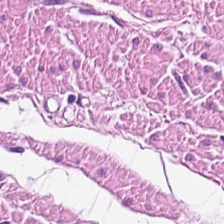Smooth-muscle tissue.
